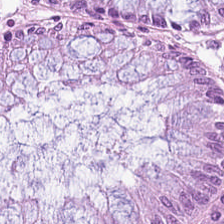H&E. The tissue here is normal colon mucosa.
